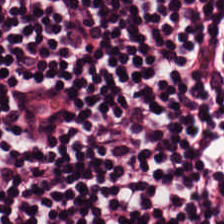H&E-stained tissue section. This patch shows lymphoid infiltrate.
